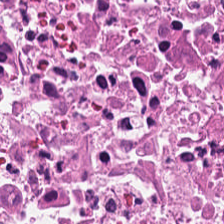224×224 px tile. Hematoxylin-and-eosin stained section.
Q: What is the predominant tissue type?
A: This is debris.
